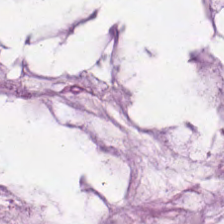Hematoxylin-and-eosin stained section · brightfield microscopy · FFPE tissue section — Predominantly extracellular mucin.
